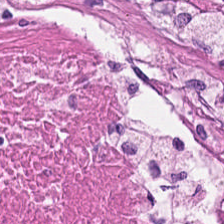Hematoxylin and eosin — Q: What is shown in this field?
A: The field shows necrotic debris.
